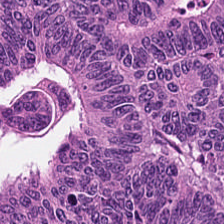Stain: H&E stain.
Tissue: tumor epithelium.
